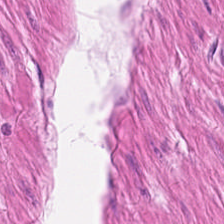Tissue type: smooth muscle.
